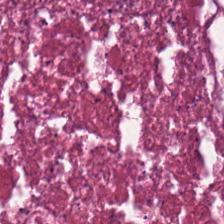H&E. The predominant tissue is cellular debris.
